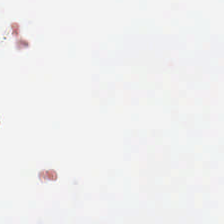Hematoxylin-and-eosin stained section — Content: background (no tissue).
